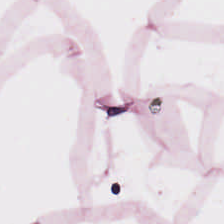Stain: hematoxylin-and-eosin stained section.
Classification: fat tissue.
